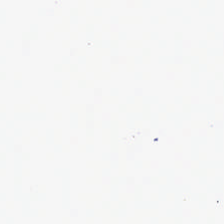H&E stain.
This field is background (no tissue).
